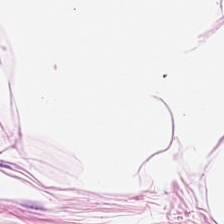H&E.
{"tissue_type": "adipocytes"}
